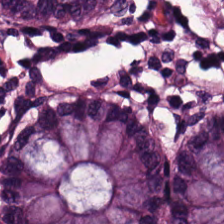Hematoxylin-and-eosin stained section — Tissue: normal colon mucosa.
